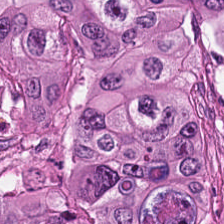Stain: hematoxylin-and-eosin stained section.
Tile size: 224×224 px tile.
Preparation: FFPE tissue section.
Classification: malignant epithelium.
